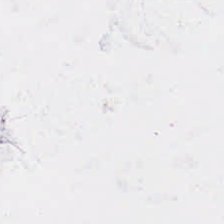224×224 pixel tile · WSI patch · hematoxylin and eosin. The classification is no tissue.
